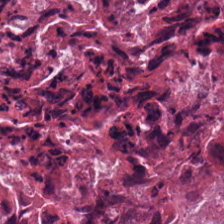Q: What tissue is shown?
A: This is cellular debris.
